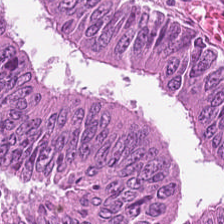Hematoxylin-and-eosin stained section · 20× equivalent magnification.
The tissue is colorectal adenocarcinoma epithelium.
